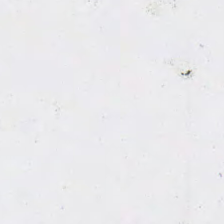Hematoxylin and eosin — No tissue present; background only.
